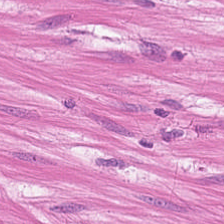H&E. FFPE tissue section. The classification is muscularis.
